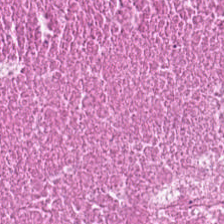Stain: H&E-stained tissue section.
Classification: debris.
